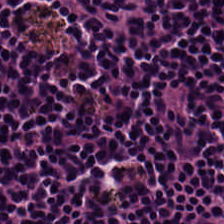Hematoxylin and eosin. Impression → lymphocyte aggregate.
